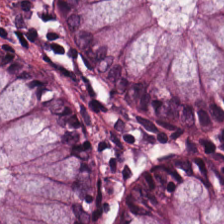Hematoxylin and eosin. The tissue here is benign colonic mucosa.
